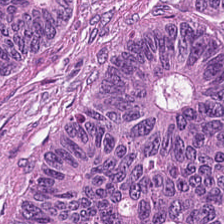224×224 px patch; H&E; 0.5 µm per pixel — Predominantly colorectal adenocarcinoma.
